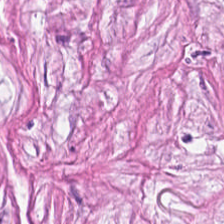H&E stain · 224×224 pixel tile. Q: What tissue type is shown here?
A: Tumor stroma.
